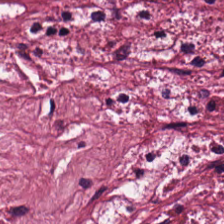Hematoxylin and eosin. Tissue class = cancer-associated stroma.
